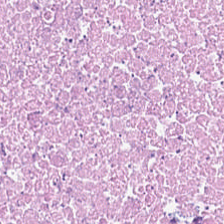Tissue type: necrotic debris.
